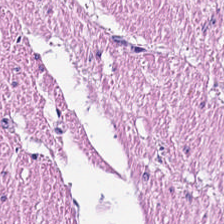Stain: hematoxylin and eosin.
Tissue: smooth-muscle tissue.
